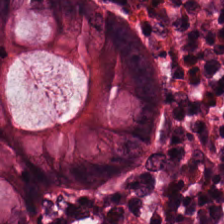H&E patch showing normal colon mucosa.
